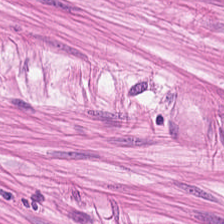H&E-stained tissue section. The tissue type is muscularis.
